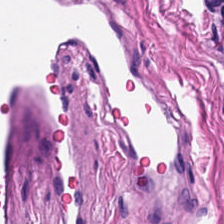H&E; 224×224 pixel tile — The tissue type is muscularis.
